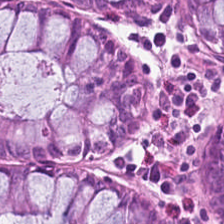224×224 pixel tile. H&E — Classification: normal colonic mucosa.
